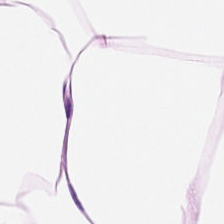Whole-slide-image patch; H&E.
Histology — fat tissue.
